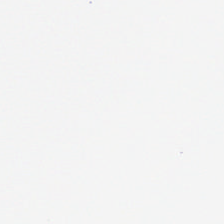Hematoxylin and eosin.
Content = background.
